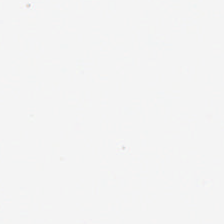H&E-stained tissue section; 224×224 px tile — Background — no tissue in this field.
